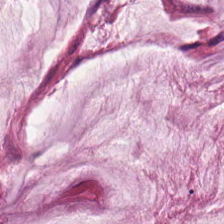{"tissue_type": "mucin"}
